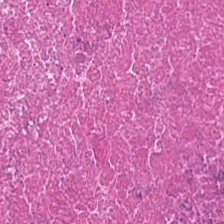Q: Classify this patch.
A: The field shows necrotic debris.
